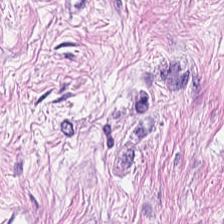Hematoxylin and eosin. Cancer-associated stroma.
